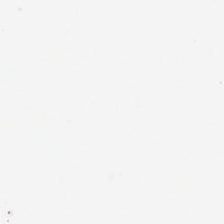Hematoxylin-and-eosin stained section; brightfield; 0.5 µm/px.
Content: background (no tissue).
